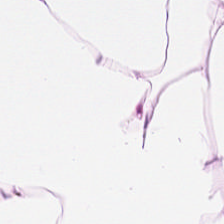Tissue type: adipose.
